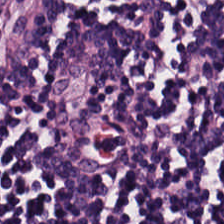Hematoxylin and eosin · 224×224 px tile. Classification — lymphoid infiltrate.
